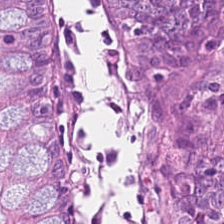H&E-stained tissue section. Classification: benign colonic mucosa.
